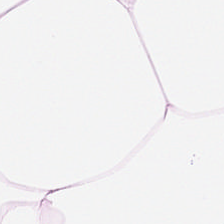Hematoxylin-and-eosin stained section. Adipocytes.
